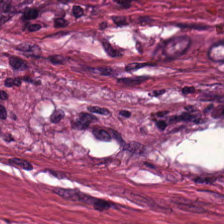FFPE · H&E · WSI patch. Classification = tumor stroma.
